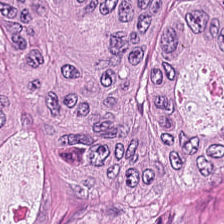Hematoxylin and eosin.
Tissue — colorectal adenocarcinoma epithelium.
